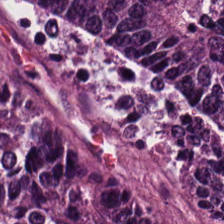Hematoxylin-and-eosin stained section · brightfield. Predominantly colorectal adenocarcinoma.
